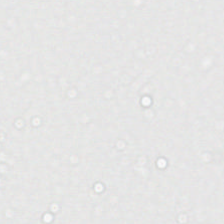H&E-stained tissue section. 224×224 pixel tile. FFPE. Q: What is shown in this field?
A: It is background.
